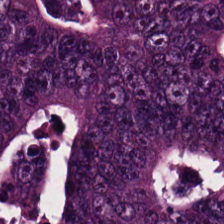Hematoxylin and eosin.
Q: What type of tissue is this?
A: It is colorectal adenocarcinoma epithelium.
